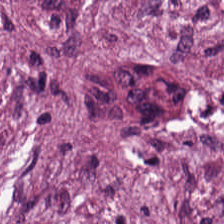H&E. The tissue class is desmoplastic stroma.
